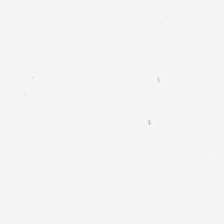H&E-stained tissue section — Classification = background (no tissue).
